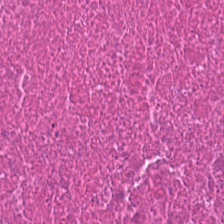H&E stain — Finding → cellular debris.
